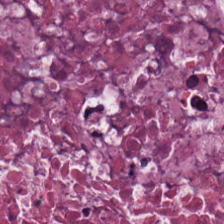WSI patch · hematoxylin-and-eosin stained section · 224×224 pixel tile — Impression — necrotic debris.
